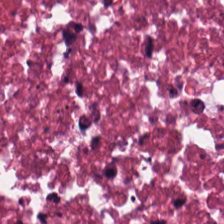Hematoxylin-and-eosin stained section. Q: What tissue is shown?
A: Debris.
